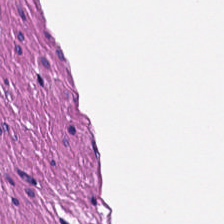224×224 px patch. H&E-stained tissue section — The tissue here is muscularis.
